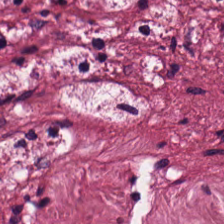Hematoxylin and eosin. This patch shows tumor stroma.
